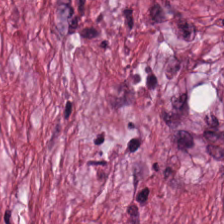Stain: hematoxylin-and-eosin stained section.
Tile size: 224×224 px patch.
Preparation: FFPE.
Predominant tissue: tumor stroma.
